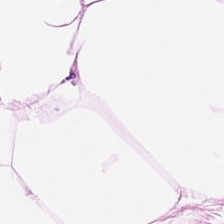224×224 px patch; hematoxylin-and-eosin stained section; brightfield microscopy.
{"tissue_type": "adipocytes"}
